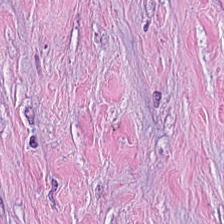The classification is desmoplastic stroma.
